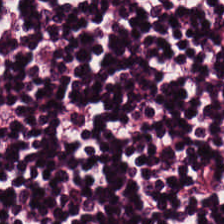H&E; formalin-fixed paraffin-embedded section; WSI patch.
Finding → lymphocyte aggregate.
